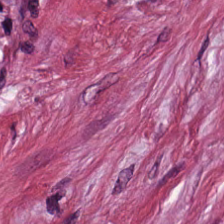Tissue — desmoplastic stroma.
